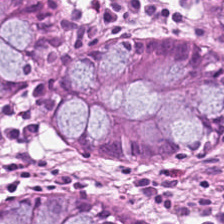H&E stain · 0.5 µm per pixel. Predominant tissue = normal colonic mucosa.
